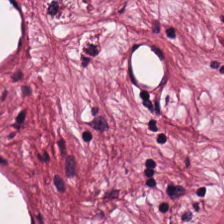H&E — Predominantly desmoplastic stroma.
